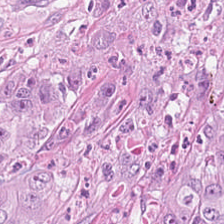H&E · WSI patch · 0.5 µm/px. Predominantly tumor epithelium.
